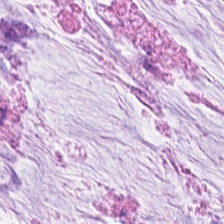Stain: hematoxylin and eosin.
Tissue class: mucin.
